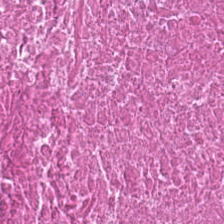224×224 px patch. 20× equivalent magnification. H&E stain — {"tissue_type": "debris"}
